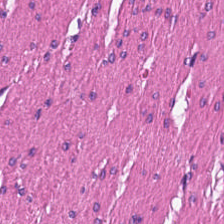Finding — smooth muscle.
